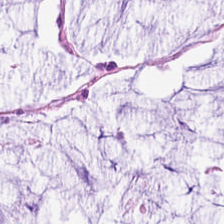H&E-stained tissue section — {"tissue_type": "mucus"}
